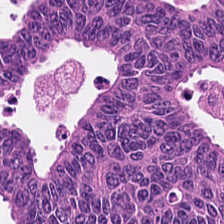H&E-stained tissue section — The tissue type is adenocarcinoma.
